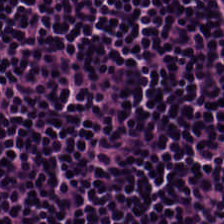Stain: hematoxylin and eosin.
Tissue type: lymphocyte aggregate.
